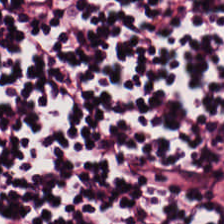Hematoxylin-and-eosin stained section. Classification = lymphoid infiltrate.
